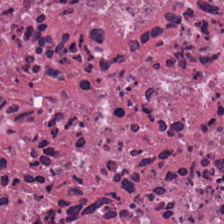Hematoxylin and eosin. Formalin-fixed paraffin-embedded section.
Showing debris.
